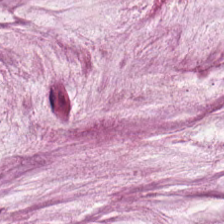H&E-stained tissue section. Finding — mucus.
